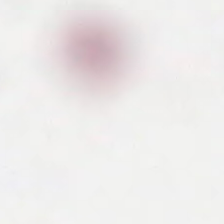This field is background (no tissue).
